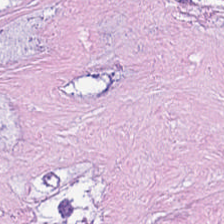Formalin-fixed paraffin-embedded section · whole-slide-image patch · H&E. {"tissue_type": "debris"}
